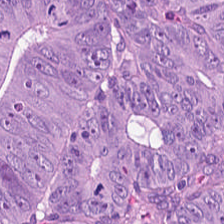Hematoxylin-and-eosin stained section. Tissue = adenocarcinoma.
